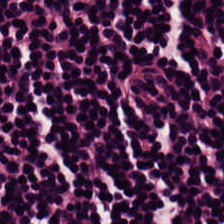Hematoxylin-and-eosin stained section.
Tissue class = lymphocytic infiltrate.
